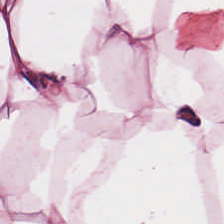H&E patch showing adipose.
